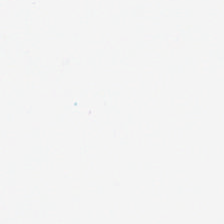{"content": "background"}
